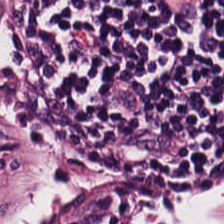Hematoxylin-and-eosin stained section. FFPE. Predominant tissue = lymphoid infiltrate.
